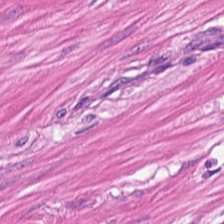Hematoxylin-and-eosin stained section. This field is smooth muscle.
